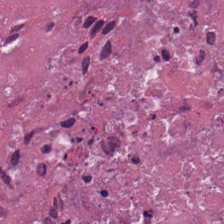The tissue type is debris.
